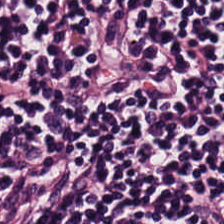20× equivalent magnification · H&E. Showing lymphocytic infiltrate.
